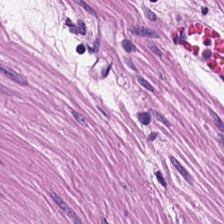H&E. {"tissue_type": "smooth-muscle tissue"}
